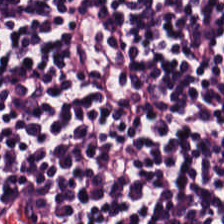Whole-slide-image patch. Hematoxylin-and-eosin stained section.
Showing lymphocyte aggregate.
